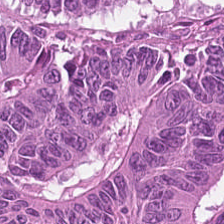H&E-stained tissue section · brightfield microscopy · FFPE tissue section. This field is colorectal adenocarcinoma.
